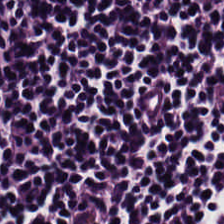FFPE tissue section · H&E. This patch shows lymphocytes.
